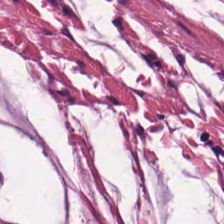H&E-stained tissue section; 20× equivalent magnification. Histology → extracellular mucin.
